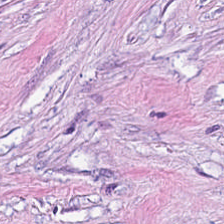Hematoxylin and eosin. Classification = tumor-associated stroma.
